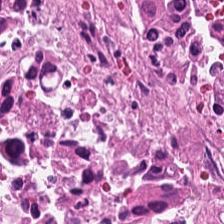Stain: H&E-stained tissue section.
Tissue: cellular debris.
